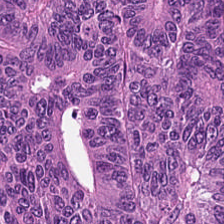Whole-slide-image patch · hematoxylin and eosin. This patch shows tumor epithelium.
